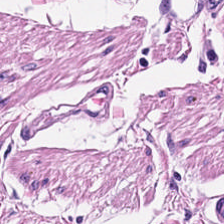Tissue class: smooth muscle.
